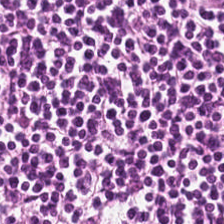224×224 px patch. Hematoxylin and eosin — Tissue class — lymphocytes.
